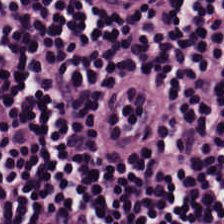Stain: H&E stain.
Classification: lymphocytes.
